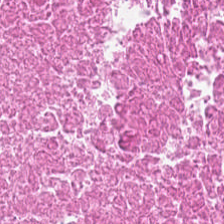0.5 µm/px; H&E-stained tissue section; formalin-fixed paraffin-embedded section. Tissue type — necrotic debris.
